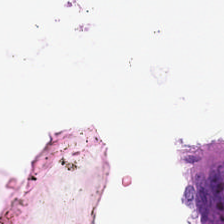Empty field — background (no tissue).
